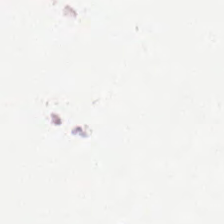Brightfield microscopy · H&E-stained tissue section — This field is background (no tissue).
